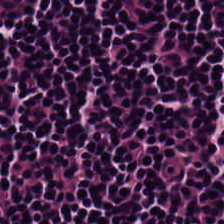H&E. This field is lymphocyte aggregate.
